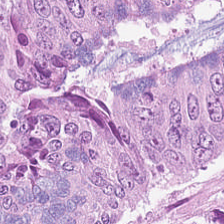Q: Identify the tissue.
A: This is adenocarcinoma.
